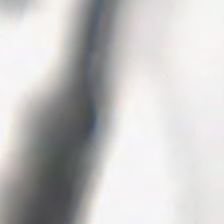FFPE; hematoxylin and eosin.
Q: Classify this patch.
A: The field shows no tissue.
